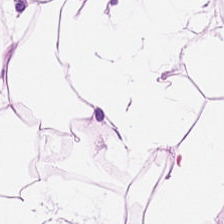Tissue: adipose.
